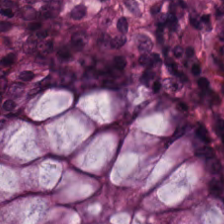Hematoxylin-and-eosin section: benign colonic mucosa.
